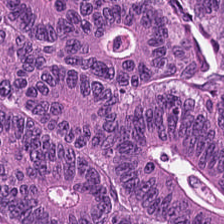Stain: H&E.
Classification: adenocarcinoma.
